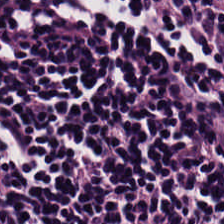Hematoxylin and eosin. Predominantly lymphocytes.
